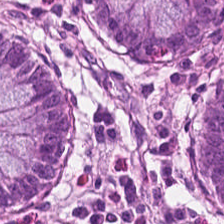Hematoxylin-and-eosin stained section — The classification is normal colon mucosa.
